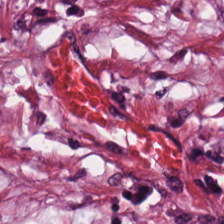H&E. Predominant tissue: desmoplastic stroma.
